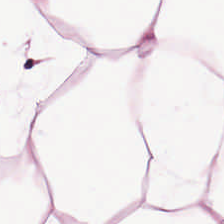Finding → adipocytes.
